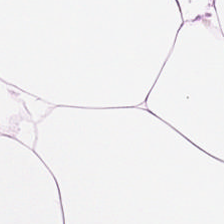Hematoxylin-and-eosin stained section. Showing adipose.
